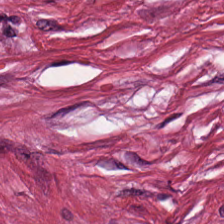The tissue class is desmoplastic stroma.
